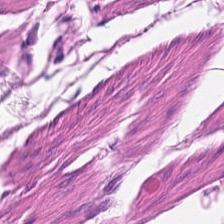Hematoxylin and eosin — This field is muscularis.
